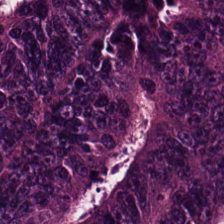Q: What does this patch show?
A: This is tumor epithelium.
